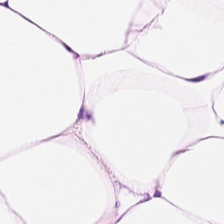224×224 pixel tile. H&E.
This field is adipose tissue.
